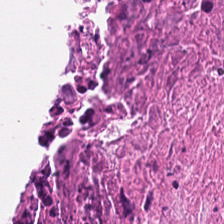H&E stain.
Showing debris.
